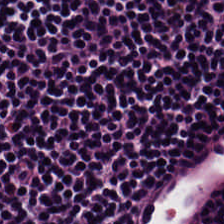Brightfield · 224×224 pixel tile · H&E-stained tissue section.
Impression — lymphocytic infiltrate.
